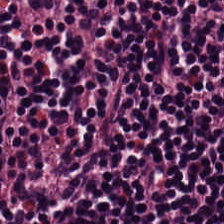Tissue — lymphocytes.
